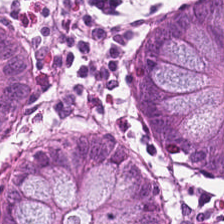The tissue here is normal colon mucosa.
